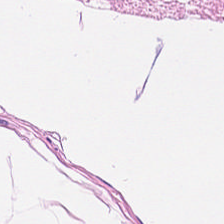0.5 microns per pixel. Hematoxylin and eosin.
Histology → muscularis.
